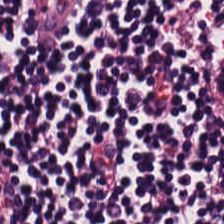{"tissue_type": "lymphoid infiltrate"}
